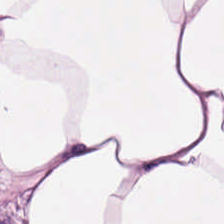Hematoxylin-and-eosin stained section.
Showing adipose tissue.
